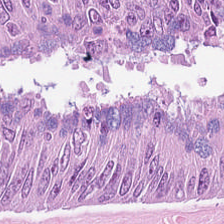FFPE · H&E-stained tissue section. The tissue type is malignant epithelium.
